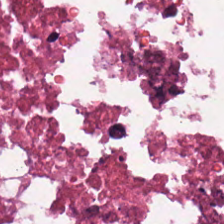Whole-slide-image patch. Hematoxylin-and-eosin stained section — Cellular debris.
